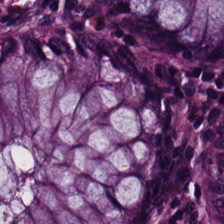Hematoxylin and eosin — The predominant tissue is benign colonic mucosa.
